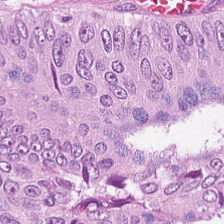Brightfield. H&E-stained tissue section.
Tissue = colorectal adenocarcinoma.
